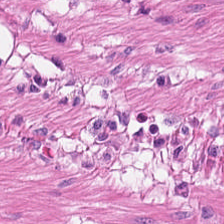224×224 px patch · hematoxylin-and-eosin stained section.
This field is muscularis.
